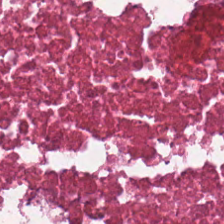H&E-stained tissue section.
Classification = necrotic debris.
